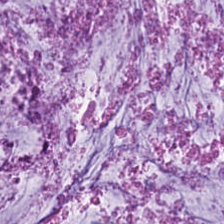Brightfield. H&E-stained tissue section.
Predominantly mucin.
